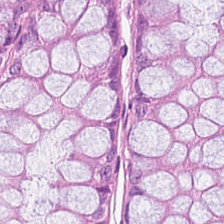20× equivalent magnification · H&E-stained tissue section · brightfield microscopy.
{"tissue_type": "normal colonic mucosa"}
